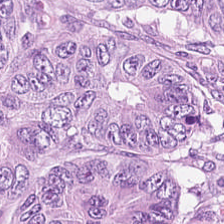0.5 µm per pixel · hematoxylin-and-eosin stained section — Predominantly malignant epithelium.
